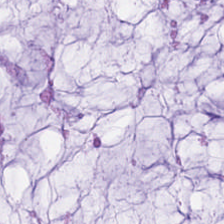H&E — Finding — mucus.
